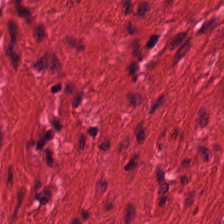Hematoxylin-and-eosin stained section — Showing smooth-muscle tissue.
